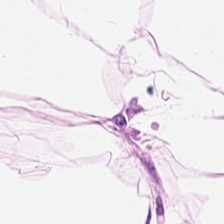H&E stain · 0.5 µm/px.
This field is adipose tissue.
